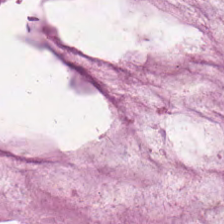Hematoxylin and eosin.
The predominant tissue is mucus.
